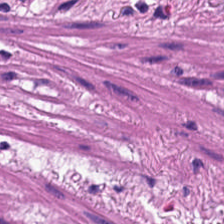Stain: H&E-stained tissue section.
Classification: smooth muscle.
